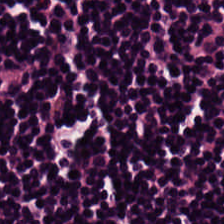H&E-stained tissue section. {"tissue_type": "lymphocyte aggregate"}
